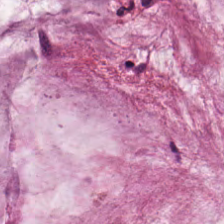Stain: hematoxylin and eosin.
Tissue: extracellular mucin.
